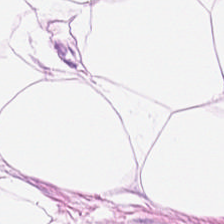FFPE · hematoxylin-and-eosin stained section. Tissue class: adipose.
